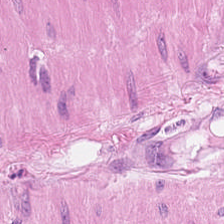This patch shows smooth muscle.
